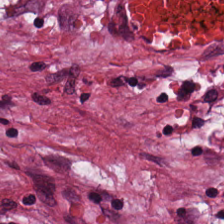H&E; 224×224 px patch — This field is desmoplastic stroma.
